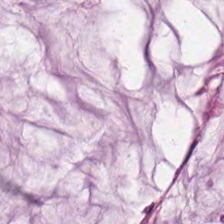Tissue class — extracellular mucin.
